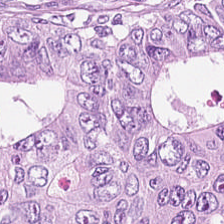Classification = malignant epithelium.
